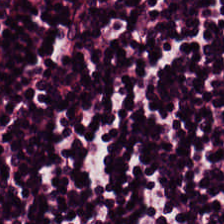Tissue: lymphoid infiltrate.
